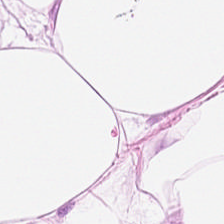Hematoxylin and eosin — The tissue here is adipocytes.
